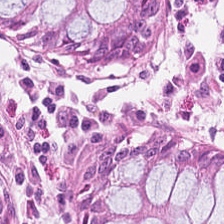H&E stain · 0.5 microns per pixel.
The predominant tissue is benign colonic mucosa.
